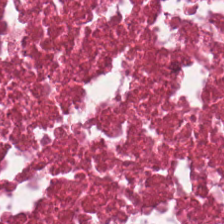Hematoxylin and eosin.
Classification: necrotic debris.
